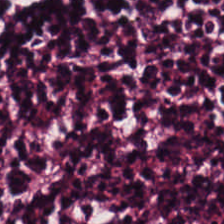FFPE tissue section · hematoxylin-and-eosin stained section — Impression → lymphocytic infiltrate.
